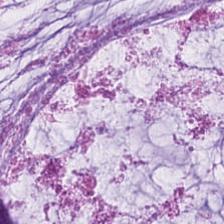The predominant tissue is mucin.
